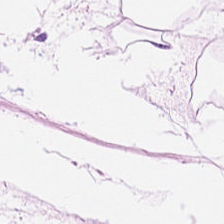Hematoxylin and eosin.
Tissue class = fat tissue.
